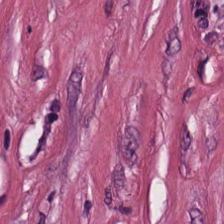H&E — Tissue type — tumor stroma.
